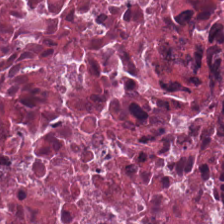FFPE tissue section; 224×224 px tile; H&E-stained tissue section — {"tissue_type": "cellular debris"}
